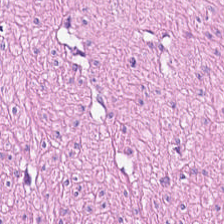Hematoxylin and eosin; 0.5 microns per pixel.
Tissue type: smooth muscle.
